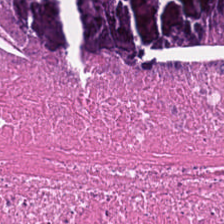Hematoxylin and eosin — Histology → cellular debris.
